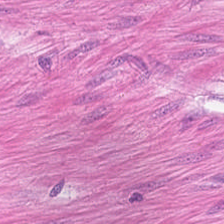H&E; WSI patch. The tissue type is smooth muscle.
